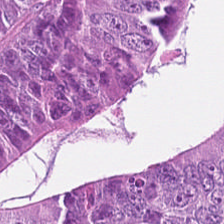Hematoxylin and eosin. Brightfield.
Predominant tissue: tumor epithelium.
